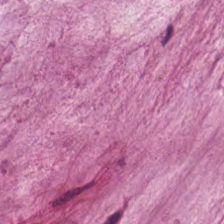FFPE tissue section; 224×224 pixel tile; H&E stain.
Q: What does this patch show?
A: Mucus.
